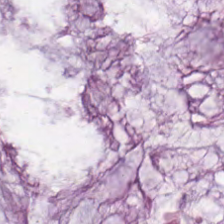H&E-stained tissue section. This field is mucus.
